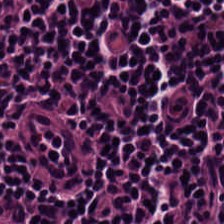Hematoxylin and eosin. Classification — lymphoid infiltrate.
